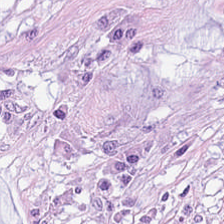{"tissue_type": "mucin"}
